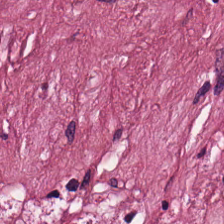H&E patch showing desmoplastic stroma.
